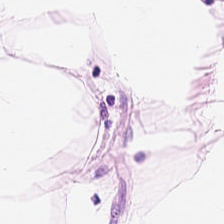FFPE tissue section · hematoxylin-and-eosin stained section. The predominant tissue is adipose.
